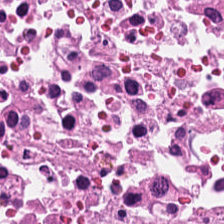Classification: cellular debris.
